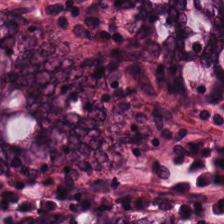Stain: hematoxylin-and-eosin stained section.
Tissue: benign colonic mucosa.
